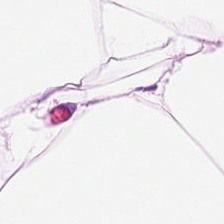224×224 pixel tile; H&E.
Tissue class: fat tissue.
